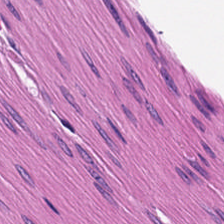Stain: hematoxylin and eosin.
Predominant tissue: smooth-muscle tissue.
